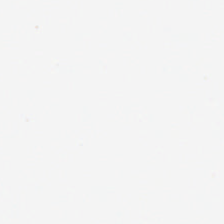FFPE. Hematoxylin and eosin. Brightfield. Q: What is shown here?
A: The field shows empty background.
